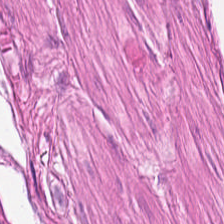Hematoxylin-and-eosin stained section — Q: What is shown in this field?
A: It is muscularis.
